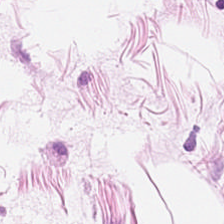FFPE. Hematoxylin-and-eosin stained section — Tissue type = adipose tissue.
